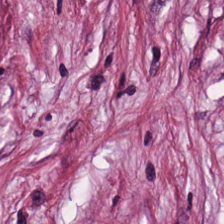Brightfield microscopy. H&E-stained tissue section.
{"tissue_type": "cancer-associated stroma"}
